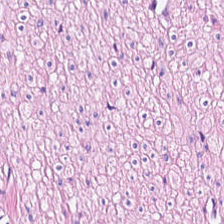FFPE. Hematoxylin-and-eosin stained section. Classification — smooth muscle.
